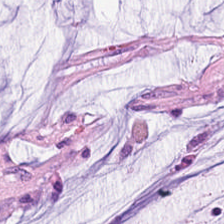Q: What does this patch show?
A: It is mucin.
